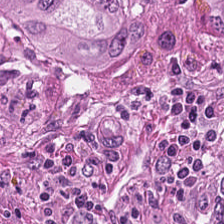Hematoxylin-and-eosin stained section. The predominant tissue is tumor epithelium.
